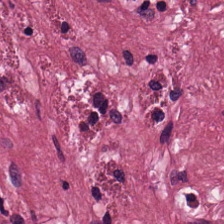H&E. 20× equivalent magnification. Tumor stroma.
